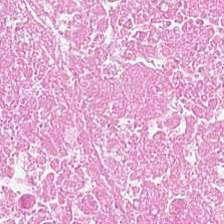Stain: H&E-stained tissue section.
Classification: debris.
